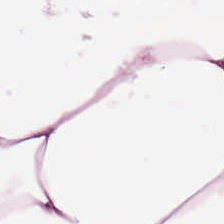Predominantly adipose.
